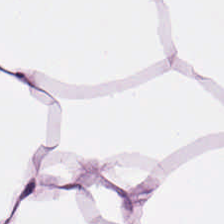H&E; 224×224 px tile — Histology — adipocytes.
